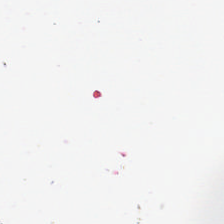This patch shows empty background.
